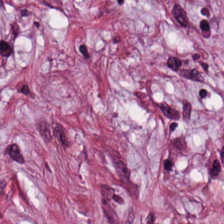Hematoxylin and eosin — Tissue: cancer-associated stroma.
